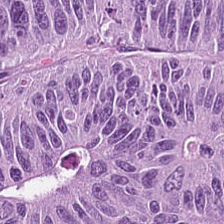Whole-slide-image patch. Hematoxylin-and-eosin stained section — Showing malignant epithelium.
